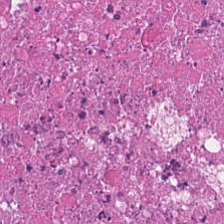H&E · 224×224 pixel tile. Finding — debris.
